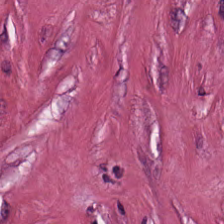H&E stain; brightfield.
This field is tumor stroma.
